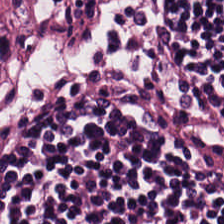H&E stain. Q: What tissue type is shown here?
A: This is lymphoid infiltrate.
